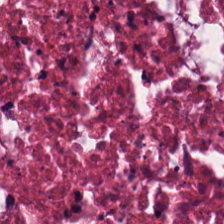H&E · 224×224 pixel tile · 0.5 µm per pixel — Tissue type = debris.
